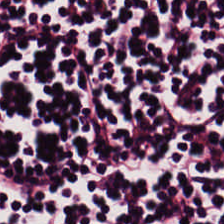Hematoxylin-and-eosin stained section.
This patch shows lymphoid infiltrate.
